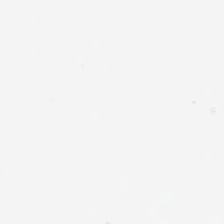Field content = no tissue.
